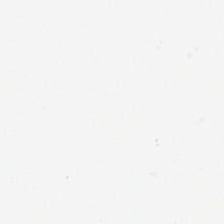0.5 microns per pixel. Brightfield microscopy. H&E. The field content is background.
